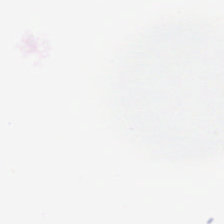Content — empty background.
